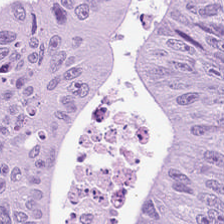224×224 pixel tile; hematoxylin and eosin; brightfield microscopy.
The predominant tissue is colorectal adenocarcinoma.
